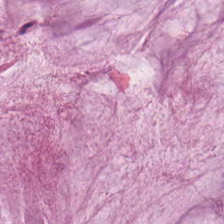Stain: H&E.
Tile size: 224×224 px tile.
Predominant tissue: mucus.
